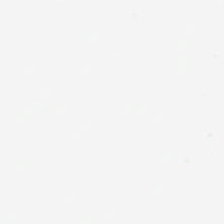Hematoxylin and eosin. Empty field — empty background.
